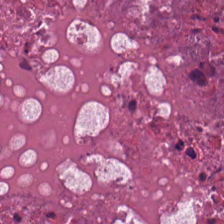Hematoxylin-and-eosin stained section.
The tissue here is debris.
